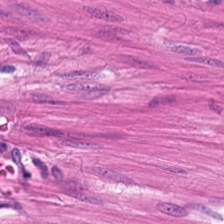H&E — Predominant tissue = muscularis.
